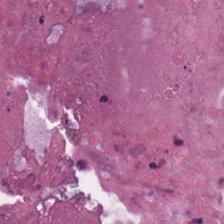The predominant tissue is necrotic debris.
